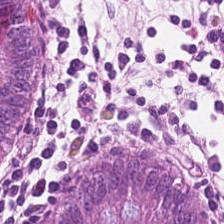0.5 microns per pixel; hematoxylin-and-eosin stained section — The tissue here is normal colon mucosa.
